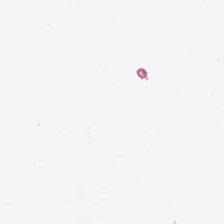H&E. Q: Classify this patch.
A: The field shows empty background.
